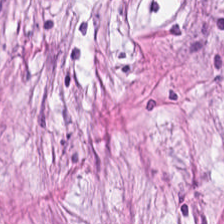H&E stain · 224×224 pixel tile. Histology — desmoplastic stroma.
